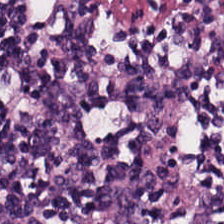H&E. FFPE tissue section.
This field is lymphocyte aggregate.
